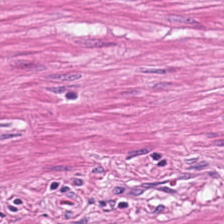Classification: muscularis.
